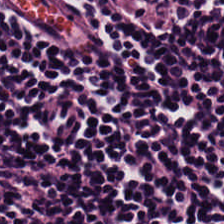Stain: hematoxylin and eosin.
Tissue type: lymphocytic infiltrate.
